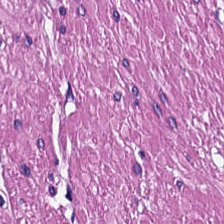H&E-stained tissue section — Predominantly muscularis.
